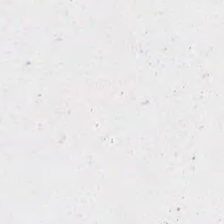Hematoxylin-and-eosin stained section — {"content": "empty background"}
